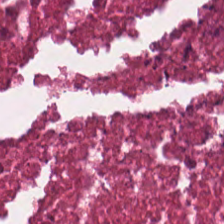Hematoxylin and eosin — The predominant tissue is cellular debris.
